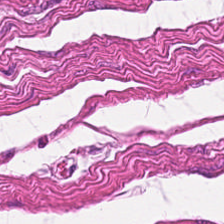Hematoxylin and eosin. Impression → muscularis.
